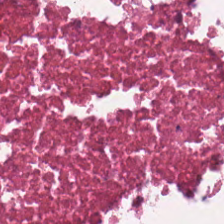Stain: H&E stain.
Preparation: formalin-fixed paraffin-embedded section.
Predominant tissue: cellular debris.
